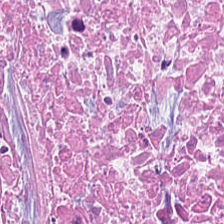H&E stain.
The predominant tissue is debris.
